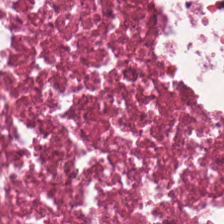Hematoxylin-and-eosin stained section · brightfield · 0.5 µm/px — This field is debris.
